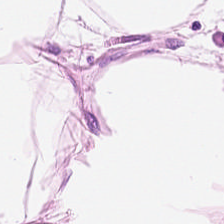Stain: hematoxylin and eosin.
Acquisition: brightfield.
Classification: adipocytes.
